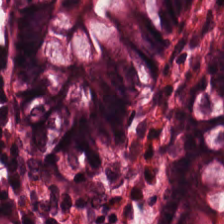Brightfield microscopy. Hematoxylin-and-eosin stained section — Finding → benign colonic mucosa.
